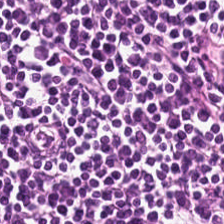The predominant tissue is lymphocytic infiltrate.
